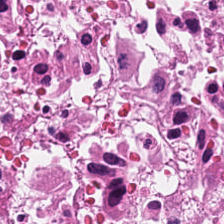Hematoxylin-and-eosin stained section.
Necrotic debris.
